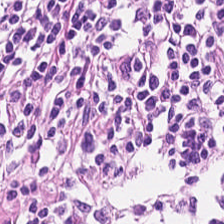Hematoxylin and eosin. Q: What is shown here?
A: This is lymphocytic infiltrate.
